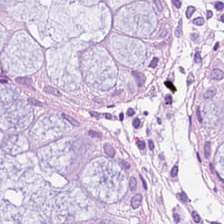224×224 px patch; H&E-stained tissue section. Q: What does this patch show?
A: It is benign colonic mucosa.
